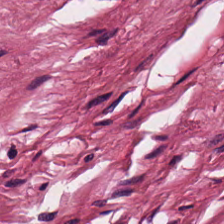Finding — cancer-associated stroma.
